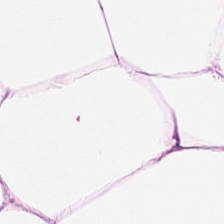H&E — Predominantly adipose tissue.
